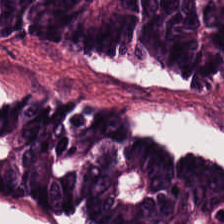H&E stain; 0.5 microns per pixel; 224×224 px tile — The tissue here is colorectal adenocarcinoma.
